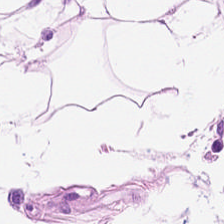Hematoxylin and eosin · 224×224 px patch · formalin-fixed paraffin-embedded section — Impression — adipocytes.
